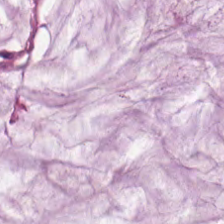H&E-stained tissue section — Predominantly mucus.
